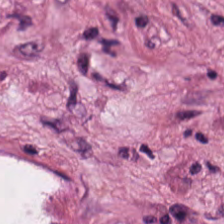H&E. The tissue here is tumor stroma.
